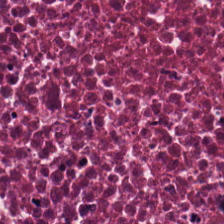This patch shows debris.
